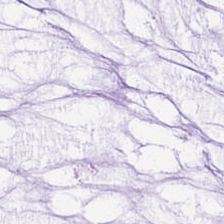H&E — Q: What does this patch show?
A: This is mucin.
